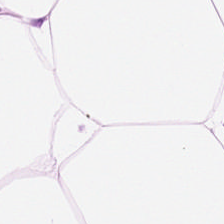This patch shows adipose tissue.
